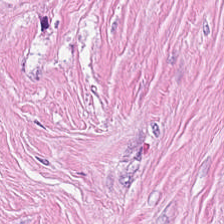Predominant tissue — tumor stroma.
